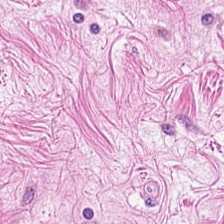Hematoxylin-and-eosin stained section. This patch shows smooth-muscle tissue.
